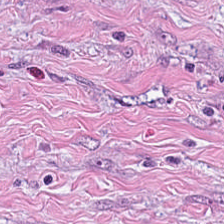Stain: H&E stain.
Predominant tissue: tumor stroma.
